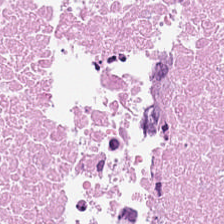Stain: H&E-stained tissue section.
Predominant tissue: debris.
